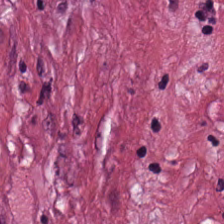Hematoxylin and eosin — Tissue: tumor-associated stroma.
